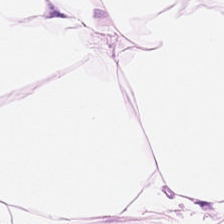H&E stain.
Q: What is shown in this field?
A: It is adipose.
